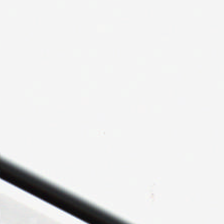Stain: H&E-stained tissue section.
Resolution: 0.5 µm per pixel.
Field content: background (no tissue).
